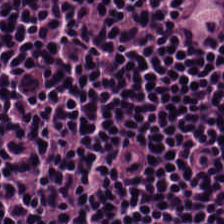Stain: H&E.
Tissue class: lymphoid infiltrate.
